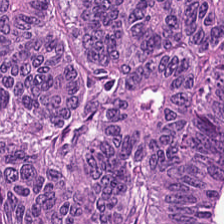H&E.
Finding → adenocarcinoma.
